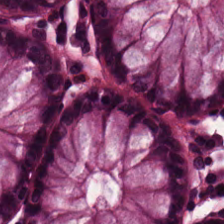0.5 µm/px. Hematoxylin and eosin. Normal colonic mucosa.
